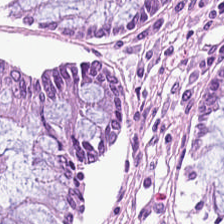Predominant tissue = benign colonic mucosa.
